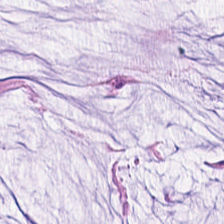Stain: hematoxylin and eosin.
Acquisition: whole-slide-image patch.
Tissue type: extracellular mucin.
